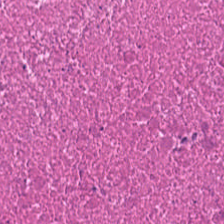Classification: cellular debris.
